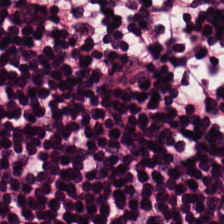Tissue class = lymphocyte aggregate.
